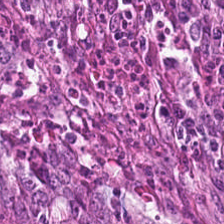Hematoxylin-and-eosin stained section.
Predominant tissue: colorectal adenocarcinoma.
